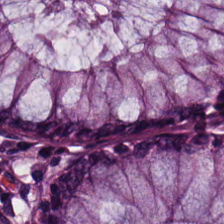Formalin-fixed paraffin-embedded section. H&E stain. Q: Classify this patch.
A: It is benign colonic mucosa.
